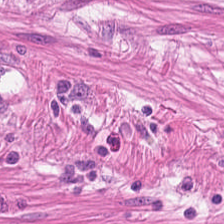Stain: H&E.
Predominant tissue: smooth muscle.
